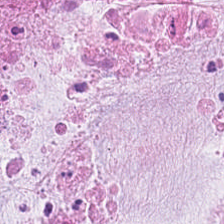H&E-stained tissue section.
{"tissue_type": "extracellular mucin"}
